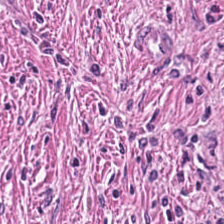Stain: H&E stain.
Classification: cancer-associated stroma.
